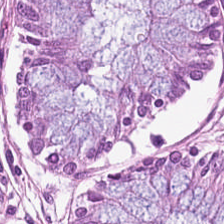Hematoxylin-and-eosin stained section; 20× equivalent magnification — Classification = benign colonic mucosa.
